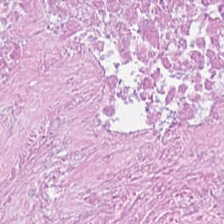H&E stain — Predominant tissue: debris.
